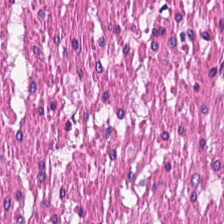Hematoxylin and eosin. Q: What tissue type is shown here?
A: Smooth muscle.
